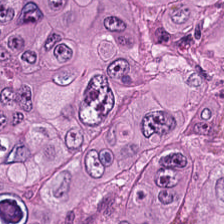Histology → malignant epithelium.
